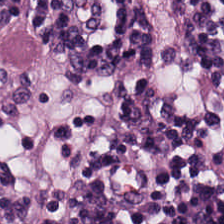Tissue type: lymphocytic infiltrate.
